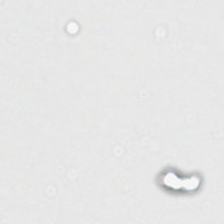{"content": "no tissue"}
